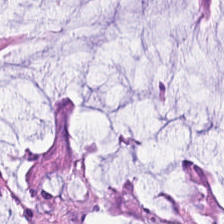0.5 µm/px. H&E-stained tissue section. Brightfield.
Predominantly extracellular mucin.
